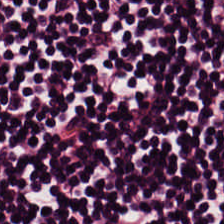H&E. Formalin-fixed paraffin-embedded section.
Finding — lymphocytic infiltrate.
